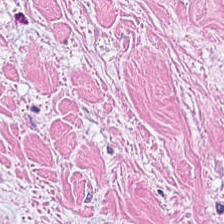Stain: H&E.
Tissue type: cancer-associated stroma.
